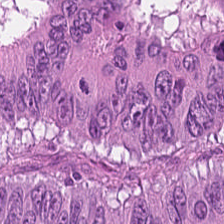H&E stain. 224×224 px patch.
The tissue here is tumor epithelium.
